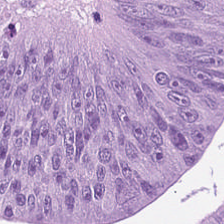H&E-stained tissue section. Formalin-fixed paraffin-embedded section.
Predominantly tumor epithelium.
